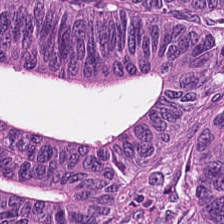{"tissue_type": "colorectal adenocarcinoma epithelium"}
